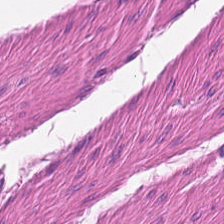H&E patch showing smooth-muscle tissue.
